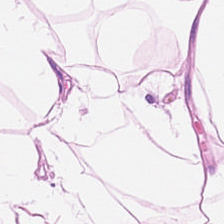Tissue type — fat tissue.
